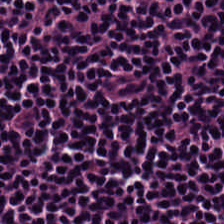224×224 pixel tile. 0.5 microns per pixel. H&E stain.
The predominant tissue is lymphocytes.
